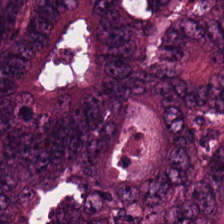The predominant tissue is colorectal adenocarcinoma epithelium.
